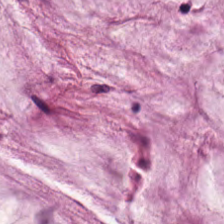H&E stain. FFPE.
This field is mucin.
